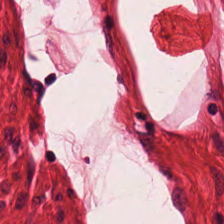Tissue — smooth muscle.
